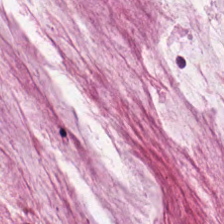Stain: H&E stain.
Classification: mucin.
